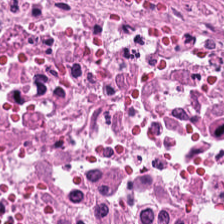Hematoxylin-and-eosin stained section.
Q: What tissue is shown?
A: It is debris.
